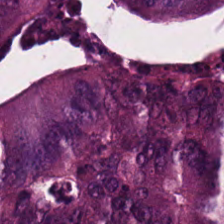H&E; 224×224 pixel tile. This field is tumor epithelium.
